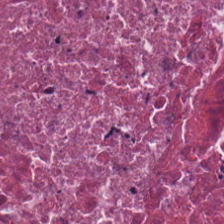H&E-stained tissue section. 224×224 px patch. Classification: necrotic debris.
